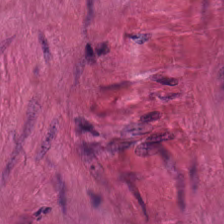Stain: H&E-stained tissue section.
Tissue type: smooth muscle.
